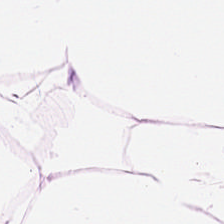Hematoxylin-and-eosin stained section · 20× equivalent magnification.
Finding → adipose.
